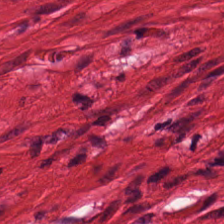H&E stain. 0.5 µm/px — Predominantly smooth muscle.
